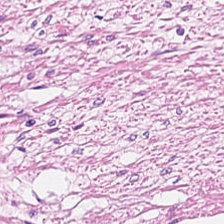This patch shows smooth-muscle tissue.
